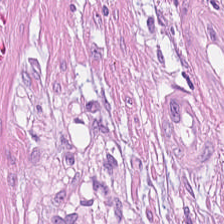Tissue = desmoplastic stroma.
